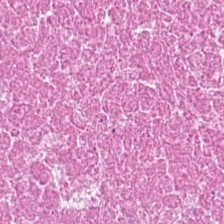0.5 µm per pixel · 224×224 px patch · hematoxylin-and-eosin stained section. The predominant tissue is cellular debris.
